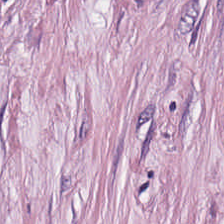Q: What does this patch show?
A: This is cancer-associated stroma.
